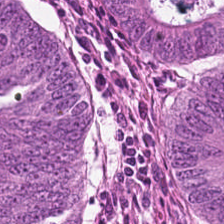H&E.
Classification: colorectal adenocarcinoma.
